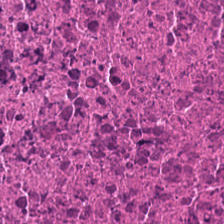H&E — cellular debris.
